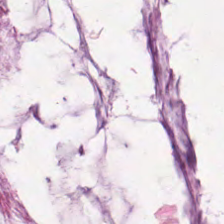H&E-stained tissue section.
Histology → mucus.
